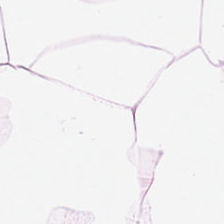H&E stain. Q: Classify this patch.
A: The field shows adipocytes.
